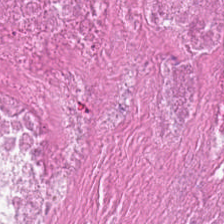H&E-stained tissue section — The predominant tissue is cellular debris.
